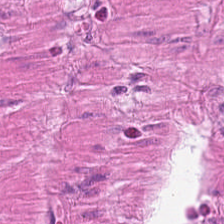H&E.
Smooth-muscle tissue.
